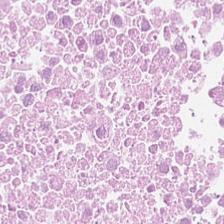FFPE; H&E-stained tissue section.
Necrotic debris.
